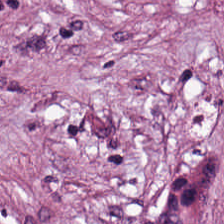H&E.
This field is tumor stroma.
